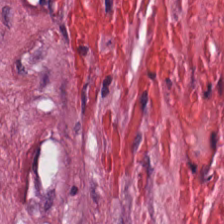Hematoxylin-and-eosin stained section; 0.5 µm/px.
Histology — cancer-associated stroma.
